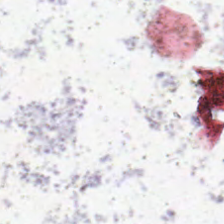{"content": "empty background"}
